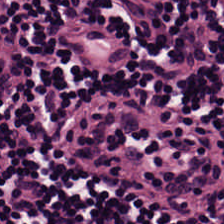Hematoxylin and eosin.
{"tissue_type": "lymphoid infiltrate"}
